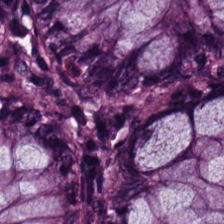Predominant tissue: non-neoplastic colon mucosa.
